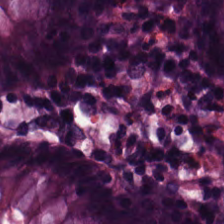Q: Classify this patch.
A: This is normal colon mucosa.
